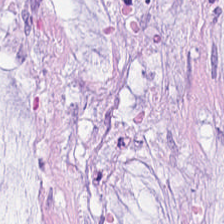224×224 px tile. Hematoxylin and eosin — This patch shows mucus.
